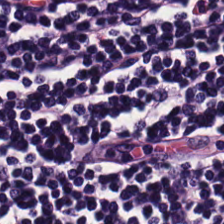Hematoxylin-and-eosin stained section. 0.5 microns per pixel.
Q: What is shown here?
A: It is lymphoid infiltrate.
